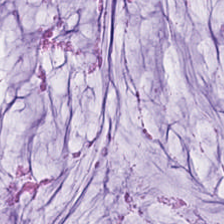H&E — Predominant tissue — extracellular mucin.
